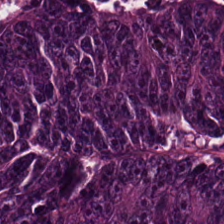H&E stain. 0.5 µm/px. Q: What tissue type is shown here?
A: It is adenocarcinoma.
